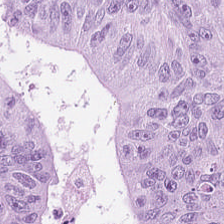H&E-stained tissue section; 224×224 px tile; brightfield microscopy. Finding → colorectal adenocarcinoma.
